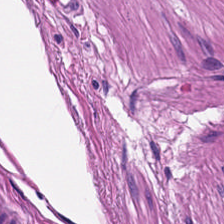Hematoxylin and eosin; whole-slide-image patch.
This patch shows smooth-muscle tissue.
